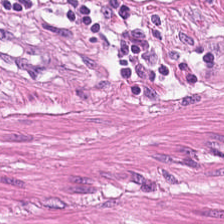The predominant tissue is smooth-muscle tissue.
